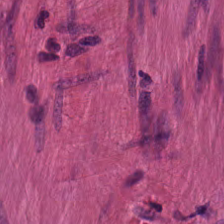Brightfield; 224×224 px patch; hematoxylin-and-eosin stained section — Predominant tissue: muscularis.
